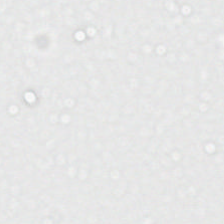H&E-stained tissue section · formalin-fixed paraffin-embedded section — Classification = background (no tissue).
